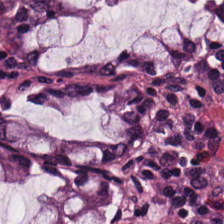H&E stain. The tissue is benign colonic mucosa.
